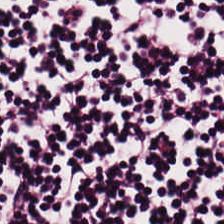Hematoxylin-and-eosin stained section; 0.5 microns per pixel.
Histology — lymphoid infiltrate.
